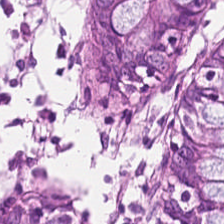Hematoxylin-and-eosin stained section. Whole-slide-image patch — Predominant tissue: normal colon mucosa.
